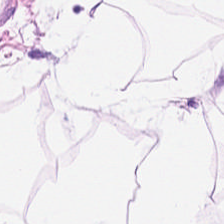Classification: adipocytes.
